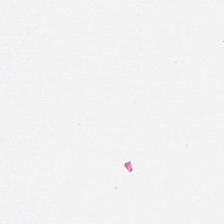Background (no tissue).
